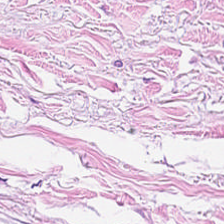Hematoxylin-and-eosin stained section. The classification is desmoplastic stroma.
